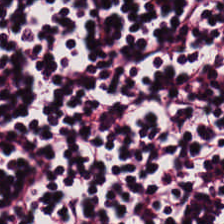Hematoxylin-and-eosin stained section. Tissue class: lymphocytes.
